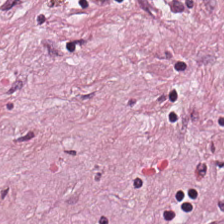H&E. Predominant tissue — cancer-associated stroma.
